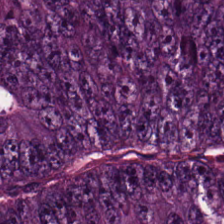H&E stain. Malignant epithelium.
